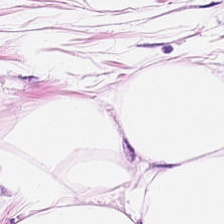0.5 µm per pixel; H&E; brightfield.
Predominant tissue: fat tissue.
